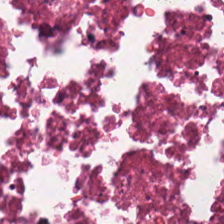H&E stain — Q: Classify this patch.
A: This is cellular debris.
